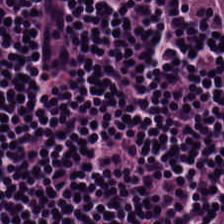H&E-stained tissue section.
The tissue here is lymphoid infiltrate.
